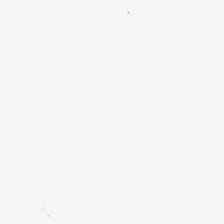H&E — Classification — background (no tissue).
